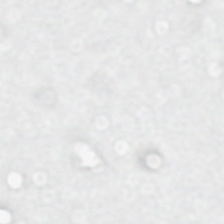224×224 px patch · H&E stain · whole-slide-image patch — This patch shows no tissue.
